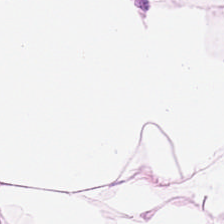Q: What tissue is shown?
A: The field shows adipocytes.
